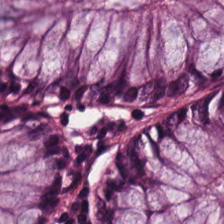20× equivalent magnification · H&E stain.
The tissue here is normal colon mucosa.
